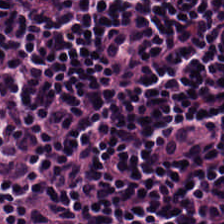H&E-stained tissue section; 224×224 px patch; brightfield — Histology — lymphocytes.
